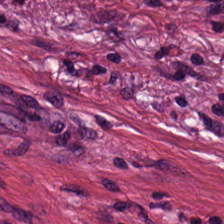Stain: hematoxylin-and-eosin stained section.
Tissue class: tumor-associated stroma.
